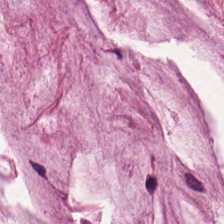Q: What tissue is shown?
A: The field shows mucin.
